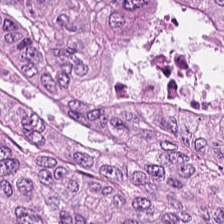Stain: H&E stain.
Tissue class: tumor epithelium.
